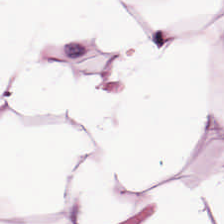Stain: H&E-stained tissue section.
Classification: adipocytes.
